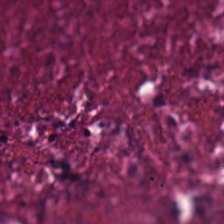Hematoxylin-and-eosin stained section.
The tissue here is cellular debris.
